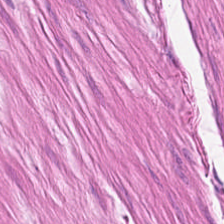H&E.
Q: Classify this patch.
A: The field shows muscularis.
